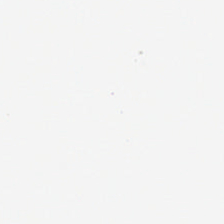224×224 px tile. H&E.
Q: Classify this patch.
A: It is empty background.
